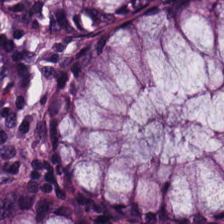0.5 µm per pixel; hematoxylin-and-eosin stained section; 224×224 px patch — Predominantly benign colonic mucosa.
